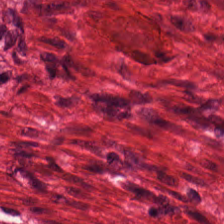H&E-stained tissue section. This patch shows smooth muscle.
